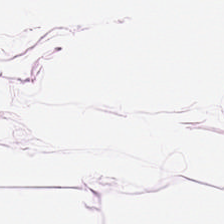Classification — fat tissue.
